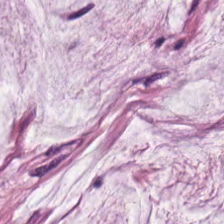H&E — extracellular mucin.
